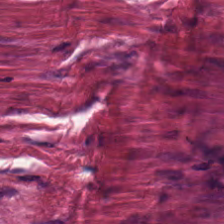Hematoxylin-and-eosin stained section; whole-slide-image patch — {"tissue_type": "desmoplastic stroma"}
